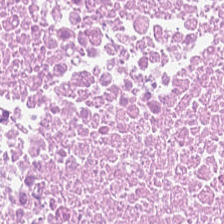Q: What is shown here?
A: The field shows necrotic debris.
